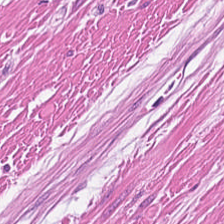0.5 µm per pixel · H&E. Showing smooth-muscle tissue.
